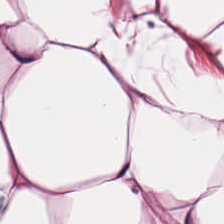{"tissue_type": "fat tissue"}
